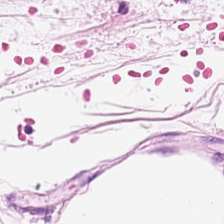H&E-stained tissue section. FFPE. 0.5 µm per pixel — Showing adipocytes.
